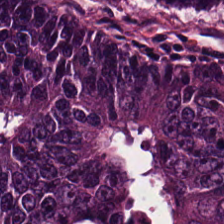Stain: hematoxylin-and-eosin stained section.
Predominant tissue: adenocarcinoma.
